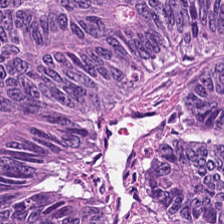Hematoxylin and eosin · 0.5 microns per pixel. {"tissue_type": "tumor epithelium"}
